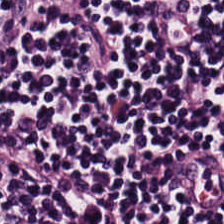H&E-stained tissue section. Tissue: lymphocytic infiltrate.
